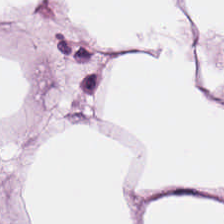Brightfield. Hematoxylin and eosin.
{"tissue_type": "adipose tissue"}
